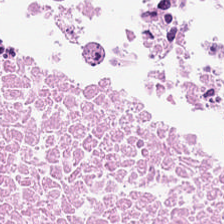Hematoxylin-and-eosin stained section — The tissue here is necrotic debris.
